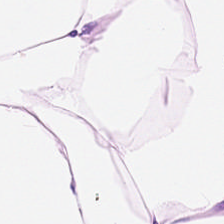H&E stain — {"tissue_type": "adipose tissue"}
